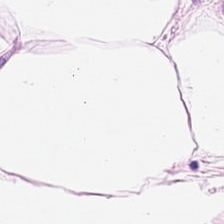Stain: H&E-stained tissue section.
Resolution: 20× equivalent magnification.
Acquisition: whole-slide-image patch.
Tissue class: fat tissue.
